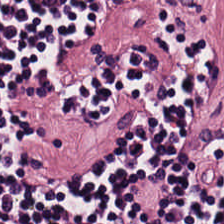Brightfield microscopy; hematoxylin and eosin; 0.5 microns per pixel. The tissue here is lymphocyte aggregate.
